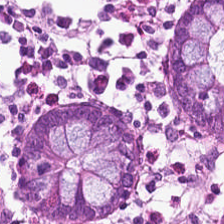Stain: hematoxylin-and-eosin stained section.
Tissue type: non-neoplastic colon mucosa.
